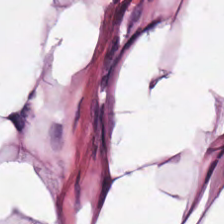Hematoxylin and eosin.
Predominantly adipose tissue.
